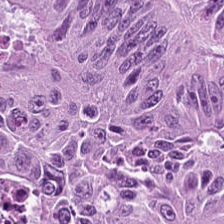Q: Classify this patch.
A: The field shows colorectal adenocarcinoma.
